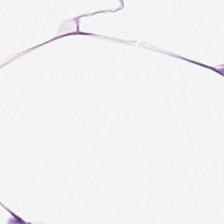Q: What is shown in this field?
A: Adipose tissue.
